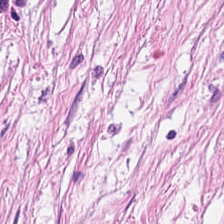H&E stain; formalin-fixed paraffin-embedded section.
The tissue here is tumor-associated stroma.
